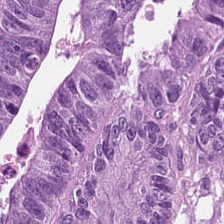H&E · 224×224 pixel tile. The tissue here is malignant epithelium.
